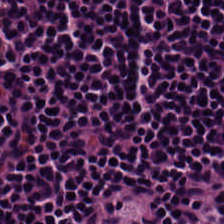Brightfield. Hematoxylin-and-eosin stained section.
The tissue here is lymphocyte aggregate.
